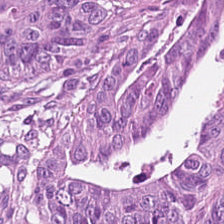H&E stain — The tissue is colorectal adenocarcinoma epithelium.
